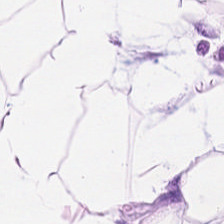Hematoxylin and eosin. {"tissue_type": "adipocytes"}
